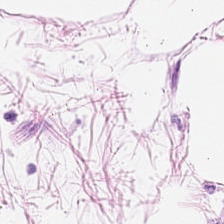FFPE · 224×224 px tile · H&E stain. Predominantly adipose tissue.
